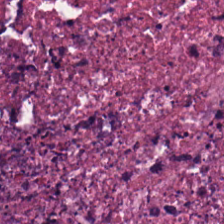H&E-stained tissue section — Impression → cellular debris.
